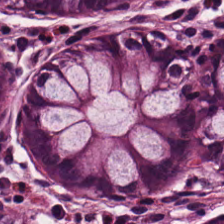H&E stain. This field is normal colon mucosa.
